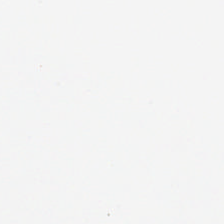H&E stain — The field content is no tissue.
